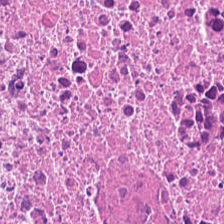Hematoxylin-and-eosin stained section.
This field is cellular debris.
